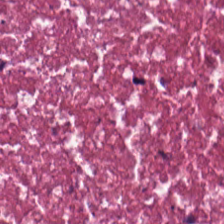H&E.
Showing necrotic debris.
